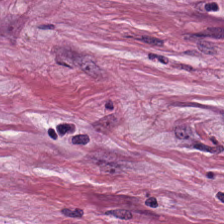H&E. {"tissue_type": "tumor-associated stroma"}
